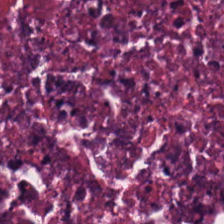Whole-slide-image patch · H&E stain · FFPE tissue section — {"tissue_type": "debris"}
